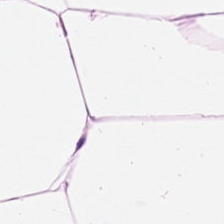Tissue type — fat tissue.
